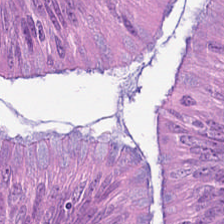Hematoxylin and eosin. Tissue type: colorectal adenocarcinoma.
